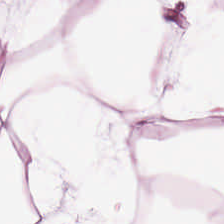224×224 pixel tile · H&E. Tissue class = adipocytes.
